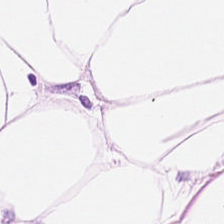Formalin-fixed paraffin-embedded section. H&E stain — Q: Identify the tissue.
A: The field shows adipose tissue.
